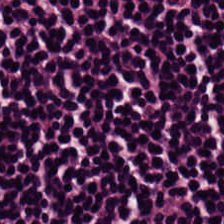Hematoxylin-and-eosin stained section. Histology — lymphoid infiltrate.
